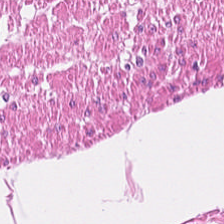WSI patch · H&E-stained tissue section.
{"tissue_type": "smooth-muscle tissue"}
